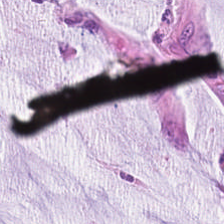H&E-stained tissue section. 224×224 px patch.
This field is mucus.
